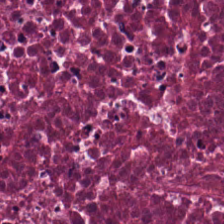Stain: H&E.
Preparation: formalin-fixed paraffin-embedded section.
Tile size: 224×224 px tile.
Classification: necrotic debris.
